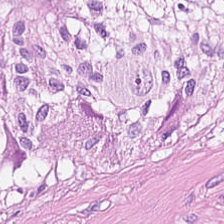Hematoxylin and eosin; 224×224 pixel tile.
This patch shows smooth muscle.
